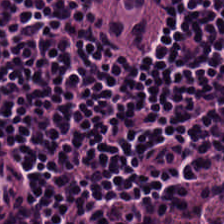Whole-slide-image patch · 20× equivalent magnification · H&E-stained tissue section — The predominant tissue is lymphoid infiltrate.
